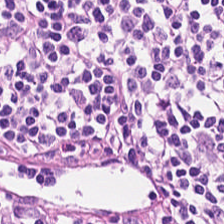Hematoxylin and eosin — Q: What is the predominant tissue type?
A: This is lymphoid infiltrate.
